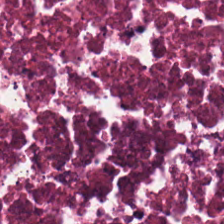{"tissue_type": "cellular debris"}
